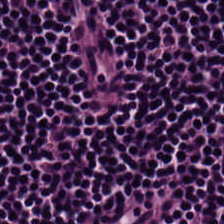H&E-stained tissue section. WSI patch. Predominant tissue = lymphoid infiltrate.
